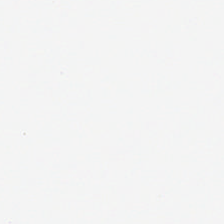H&E stain. Classification: background (no tissue).
